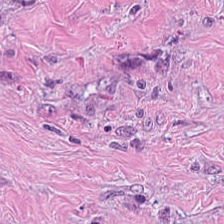Tumor stroma.
